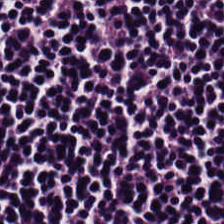Hematoxylin and eosin · 20× equivalent magnification — Showing lymphoid infiltrate.
